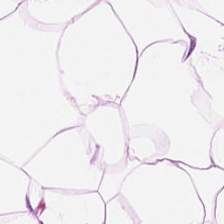H&E stain. Q: What is shown here?
A: Fat tissue.
